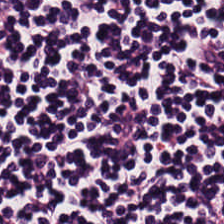Stain: H&E.
Classification: lymphocytic infiltrate.
